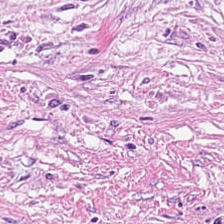H&E-stained tissue section. 0.5 microns per pixel. Whole-slide-image patch.
This patch shows tumor-associated stroma.
